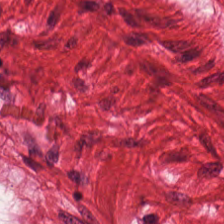H&E-stained section; the field shows smooth-muscle tissue.
